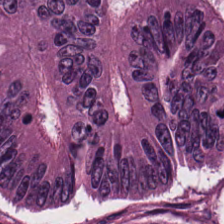H&E stain; brightfield microscopy.
This field is colorectal adenocarcinoma.
